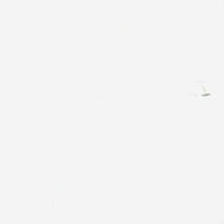Hematoxylin-and-eosin stained section.
Background — no tissue in this field.
